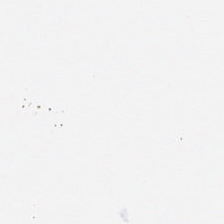Stain: hematoxylin and eosin.
Classification: no tissue.
